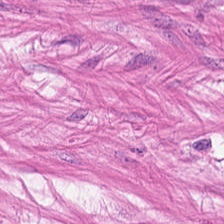Hematoxylin and eosin · FFPE. Q: What type of tissue is this?
A: The field shows smooth muscle.
